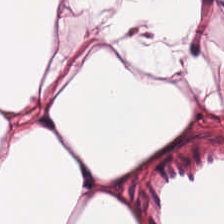Stain: H&E-stained tissue section.
Tissue type: adipocytes.
